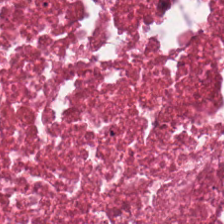FFPE tissue section · 20× equivalent magnification · H&E stain — Predominant tissue — cellular debris.
